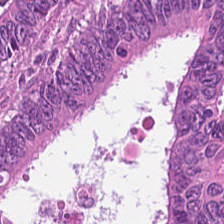Hematoxylin and eosin · FFPE tissue section · brightfield.
{"tissue_type": "malignant epithelium"}
